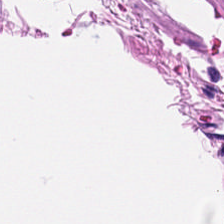Stain: hematoxylin-and-eosin stained section.
Predominant tissue: smooth muscle.
